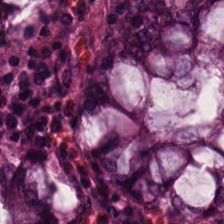Impression — benign colonic mucosa.
